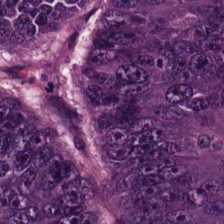{"tissue_type": "colorectal adenocarcinoma epithelium"}
